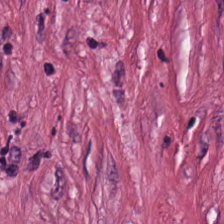FFPE tissue section · H&E stain. {"tissue_type": "desmoplastic stroma"}
